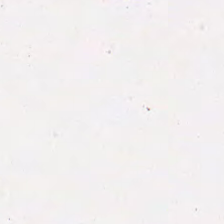The predominant tissue is necrotic debris.
